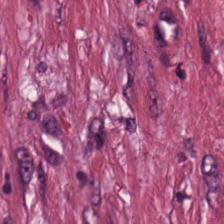H&E-stained tissue section — The tissue type is desmoplastic stroma.
